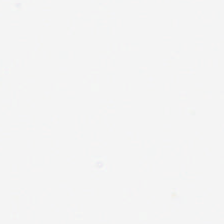Brightfield microscopy; hematoxylin-and-eosin stained section; formalin-fixed paraffin-embedded section — This field is background (no tissue).
